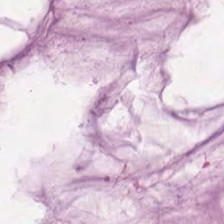Whole-slide-image patch · hematoxylin-and-eosin stained section · 0.5 µm per pixel — The classification is mucus.
